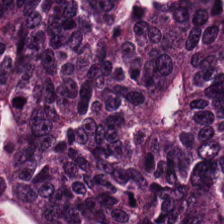H&E · brightfield.
The tissue is adenocarcinoma.
